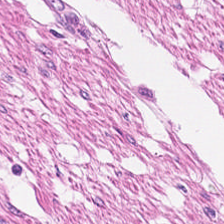H&E-stained tissue section — Impression → smooth-muscle tissue.
